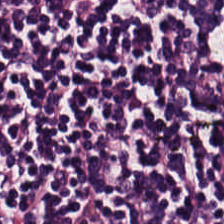Hematoxylin and eosin · 224×224 px tile. This patch shows lymphocytes.
